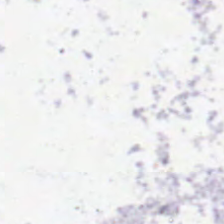H&E-stained tissue section. This field is background (no tissue).
